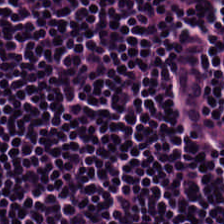Hematoxylin-and-eosin stained section. Tissue = lymphocytic infiltrate.
